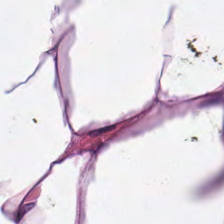H&E stain.
Q: What type of tissue is this?
A: It is fat tissue.
